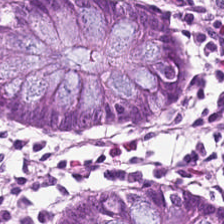Tissue: normal colonic mucosa.
